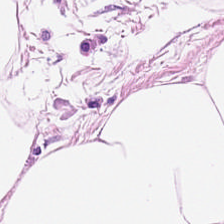Stain: hematoxylin-and-eosin stained section.
Tissue class: adipocytes.
